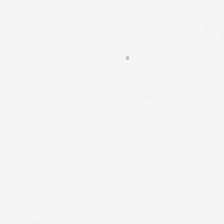Histology — no tissue.
